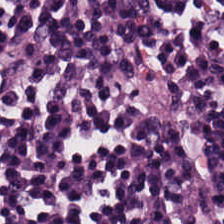{"tissue_type": "lymphocyte aggregate"}
